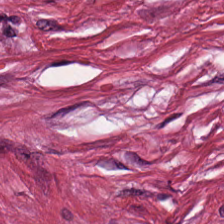Stain: H&E.
Tissue type: desmoplastic stroma.
